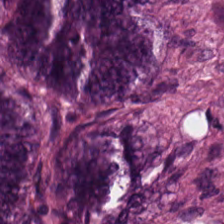Hematoxylin and eosin.
Showing colorectal adenocarcinoma epithelium.
